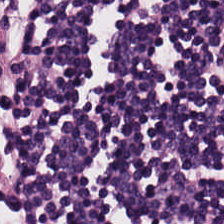Stain: hematoxylin and eosin.
Classification: lymphocytic infiltrate.
